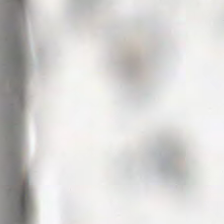Hematoxylin-and-eosin stained section — No tissue present; background only.
